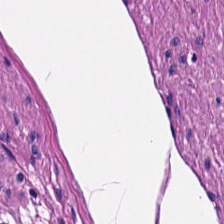H&E — smooth-muscle tissue.
